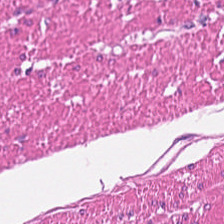Hematoxylin and eosin; 224×224 px patch — This field is muscularis.
